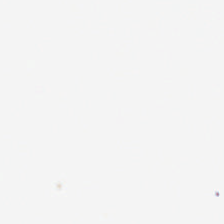0.5 µm/px; H&E — This patch shows background (no tissue).
